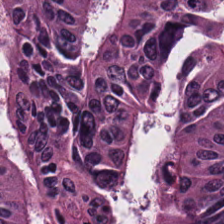224×224 px patch · hematoxylin-and-eosin stained section · FFPE — Tissue class: tumor epithelium.
